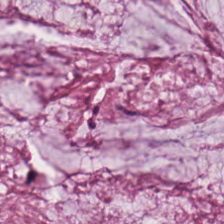Q: What is shown in this field?
A: It is extracellular mucin.
